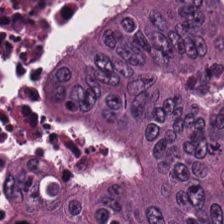H&E stain.
Predominantly adenocarcinoma.
